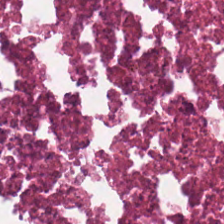20× equivalent magnification; H&E — Classification = cellular debris.
